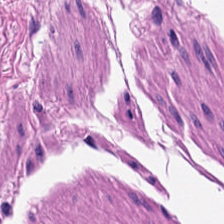H&E stain · 0.5 µm per pixel. Tissue: smooth muscle.
